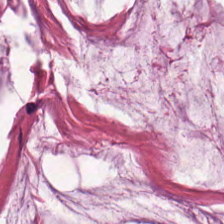H&E-stained tissue section.
This field is mucus.
